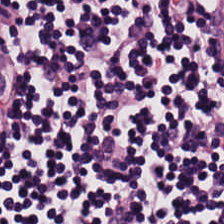H&E stain. The tissue here is lymphocyte aggregate.
